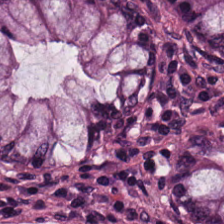This patch shows normal colonic mucosa.
